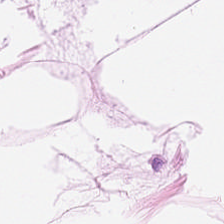H&E.
Tissue — adipocytes.
